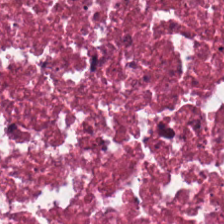H&E.
This field is cellular debris.
